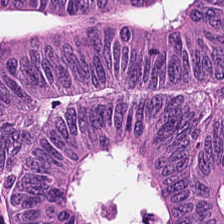224×224 px patch; H&E-stained tissue section — This patch shows colorectal adenocarcinoma epithelium.
